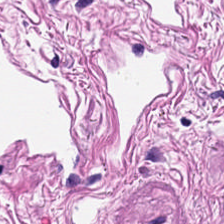This field is smooth muscle.
